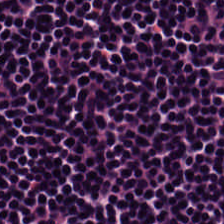Stain: H&E-stained tissue section.
Tissue class: lymphocytes.
